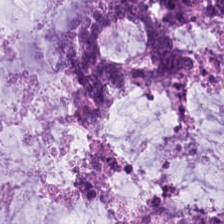Q: What is the predominant tissue type?
A: The field shows mucus.
